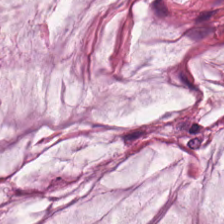Hematoxylin and eosin. 0.5 µm/px. Q: What tissue is shown?
A: The field shows mucus.
